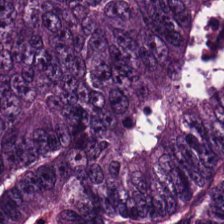Formalin-fixed paraffin-embedded section · hematoxylin-and-eosin stained section. Colorectal adenocarcinoma.
